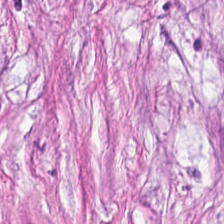Hematoxylin and eosin; WSI patch.
The classification is tumor stroma.
